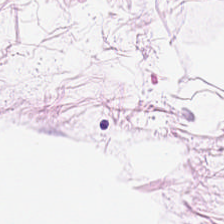The classification is adipose.
